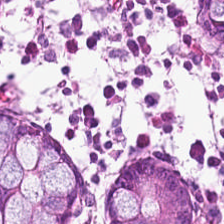H&E stain · 0.5 microns per pixel.
{"tissue_type": "non-neoplastic colon mucosa"}
